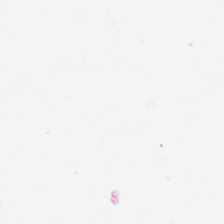H&E-stained tissue section.
Q: What does this patch show?
A: It is empty background.
